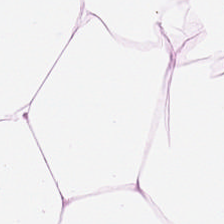Brightfield; H&E — Predominantly adipose tissue.
